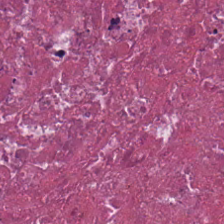FFPE. H&E-stained tissue section.
The classification is debris.
